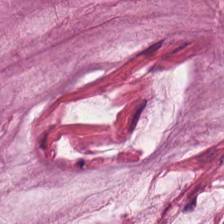Hematoxylin-and-eosin stained section. 224×224 px patch. Q: What does this patch show?
A: It is mucin.
